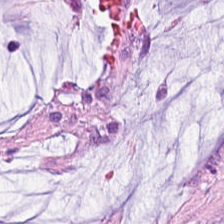Hematoxylin-and-eosin stained section · formalin-fixed paraffin-embedded section. This patch shows mucus.
